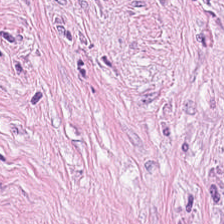This field is tumor stroma.
